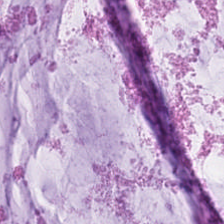H&E-stained tissue section · 20× equivalent magnification — Q: What is the predominant tissue type?
A: Extracellular mucin.
